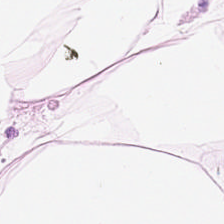Hematoxylin-and-eosin stained section · 0.5 microns per pixel. Q: What tissue type is shown here?
A: It is adipose.
